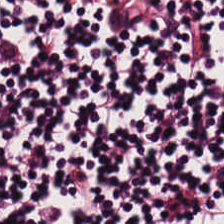Predominantly lymphocyte aggregate.
